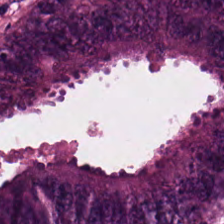0.5 µm per pixel · H&E · 224×224 px patch.
Impression → colorectal adenocarcinoma.
